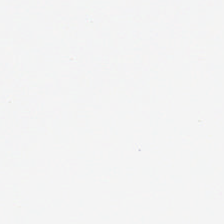H&E stain — Background (no tissue).
